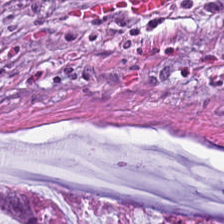Mucin.
